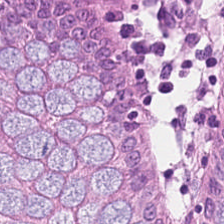224×224 pixel tile; H&E-stained tissue section; 0.5 µm/px. This field is non-neoplastic colon mucosa.
